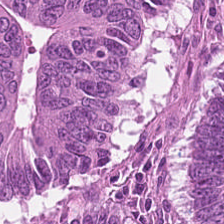The tissue here is colorectal adenocarcinoma epithelium.
